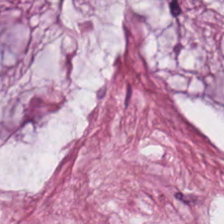H&E. Impression → extracellular mucin.
